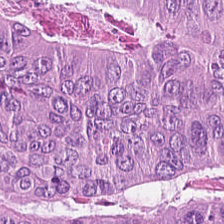Stain: H&E stain.
Resolution: 0.5 microns per pixel.
Predominant tissue: adenocarcinoma.
